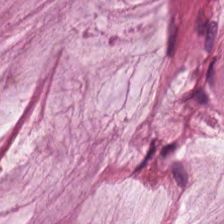Hematoxylin-and-eosin stained section — Q: What tissue type is shown here?
A: The field shows extracellular mucin.
